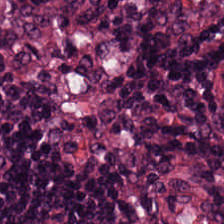H&E stain.
This field is lymphoid infiltrate.
